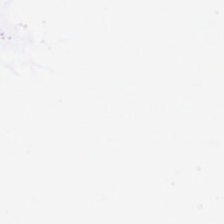Hematoxylin-and-eosin stained section.
Empty background.
